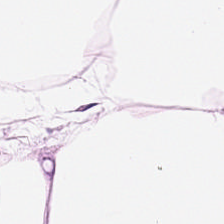H&E patch showing adipose tissue.
